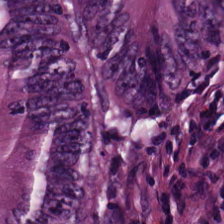Stain: H&E-stained tissue section.
Classification: colorectal adenocarcinoma epithelium.
